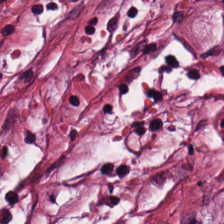WSI patch · 224×224 pixel tile · hematoxylin-and-eosin stained section.
Q: Identify the tissue.
A: Desmoplastic stroma.
